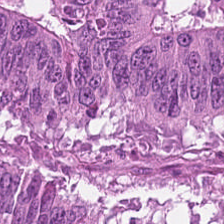H&E-stained tissue section — Histology — malignant epithelium.
